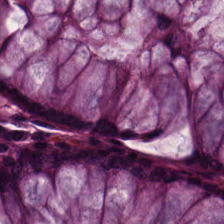Stain: H&E-stained tissue section.
Resolution: 0.5 µm per pixel.
Predominant tissue: normal colon mucosa.
